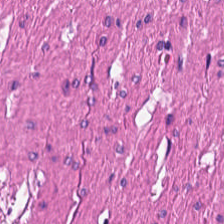Hematoxylin-and-eosin stained section. The predominant tissue is smooth muscle.
